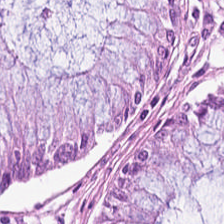H&E stain.
{"tissue_type": "normal colon mucosa"}
